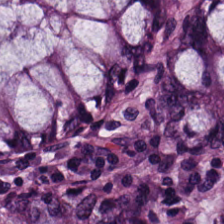Hematoxylin and eosin. Q: Identify the tissue.
A: Non-neoplastic colon mucosa.
